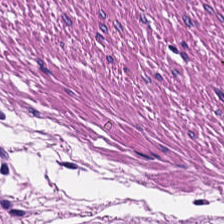Classification: muscularis.
